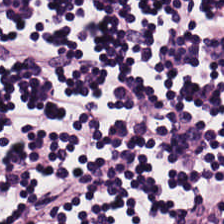H&E stain. 224×224 px tile.
Classification — lymphocytic infiltrate.
